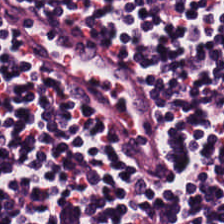H&E-stained tissue section · FFPE tissue section — {"tissue_type": "lymphocytic infiltrate"}
